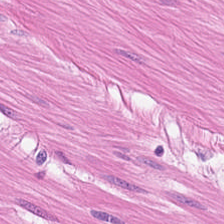224×224 px tile · brightfield · H&E stain.
The predominant tissue is muscularis.
